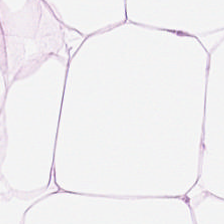{"tissue_type": "adipocytes"}
